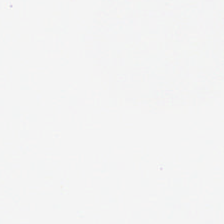H&E-stained tissue section. Field content: background.
